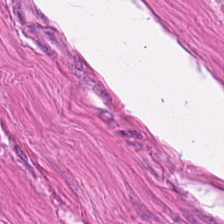H&E-stained tissue section; 224×224 px patch; FFPE. Showing muscularis.
